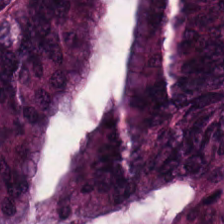H&E stain. Classification: colorectal adenocarcinoma.
